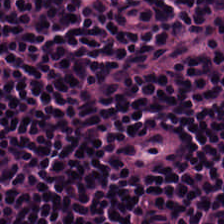H&E-stained tissue section; FFPE tissue section — The tissue class is lymphoid infiltrate.
